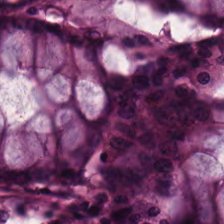0.5 µm/px; whole-slide-image patch; hematoxylin-and-eosin stained section — Tissue type: benign colonic mucosa.
